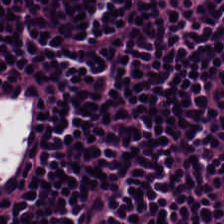Tissue — lymphocyte aggregate.
